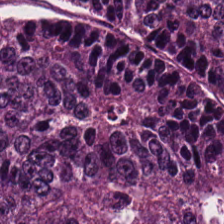Stain: hematoxylin-and-eosin stained section.
Preparation: FFPE tissue section.
Resolution: 0.5 µm/px.
Predominant tissue: tumor epithelium.
